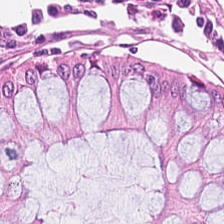Normal colonic mucosa.
